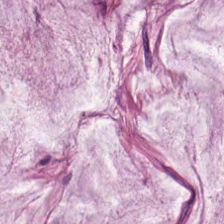Formalin-fixed paraffin-embedded section; H&E-stained tissue section.
Predominant tissue: mucus.
